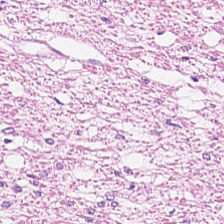Brightfield microscopy. H&E stain. Tissue type: muscularis.
